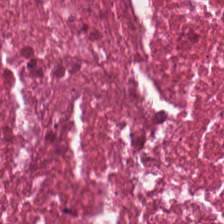Hematoxylin-and-eosin stained section; 224×224 pixel tile. The predominant tissue is necrotic debris.
